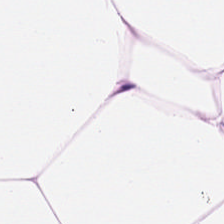Stain: hematoxylin-and-eosin stained section.
Tissue type: adipose.
